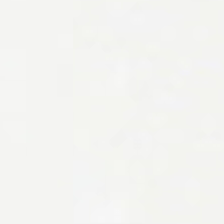Formalin-fixed paraffin-embedded section. H&E stain. Brightfield — No tissue.
